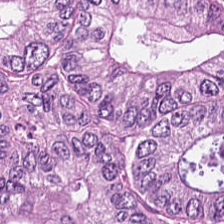Hematoxylin and eosin.
Tissue = malignant epithelium.
